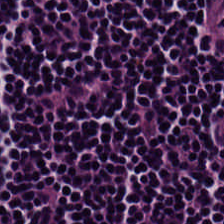Hematoxylin and eosin. Lymphocyte aggregate.
